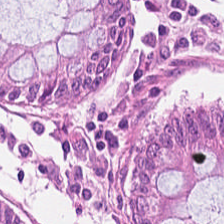Hematoxylin-and-eosin stained section; FFPE — Q: What is the predominant tissue type?
A: This is normal colon mucosa.
